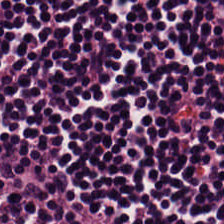H&E — Predominantly lymphocytic infiltrate.
